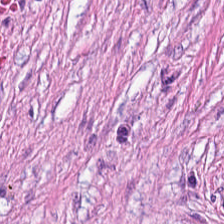Hematoxylin-and-eosin section: desmoplastic stroma.
